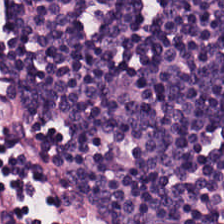The tissue is lymphoid infiltrate.
